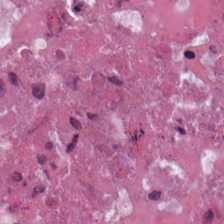H&E patch showing debris.
